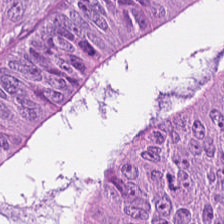H&E stain. Showing colorectal adenocarcinoma epithelium.
